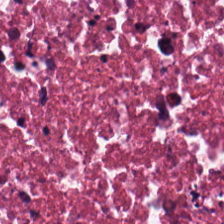{"tissue_type": "necrotic debris"}
